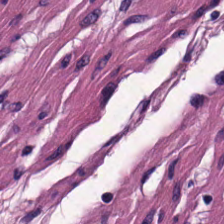Hematoxylin-and-eosin stained section. Showing smooth muscle.
